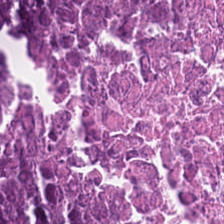224×224 pixel tile · 0.5 microns per pixel · H&E — Tissue — necrotic debris.
